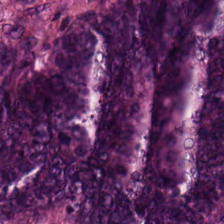224×224 px patch. 0.5 microns per pixel. H&E stain.
This field is colorectal adenocarcinoma.
